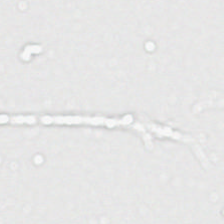FFPE · 224×224 pixel tile · H&E-stained tissue section — No tissue.
